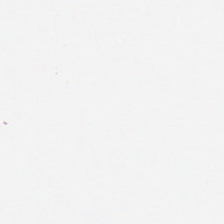Stain: H&E.
Preparation: formalin-fixed paraffin-embedded section.
Acquisition: WSI patch.
Field content: background (no tissue).
